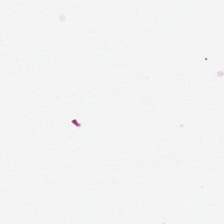Background — no tissue in this field.
